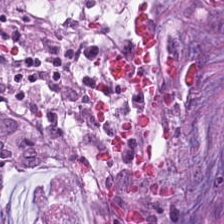H&E-stained section; the field shows extracellular mucin.
